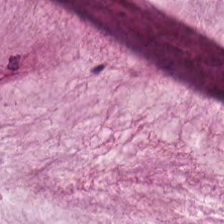H&E stain — Extracellular mucin.
